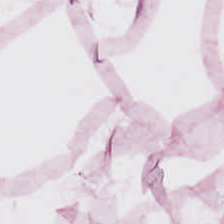H&E-stained tissue section.
Showing adipose tissue.
